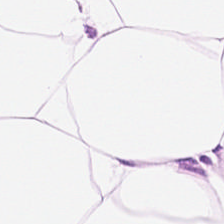The tissue here is adipose.
